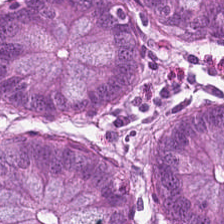H&E-stained tissue section; 224×224 px patch.
Showing benign colonic mucosa.
